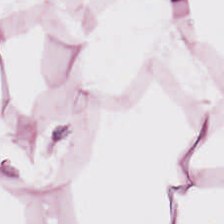Tissue: adipose tissue.
